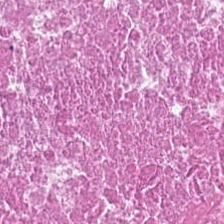Q: What is shown here?
A: The field shows necrotic debris.
